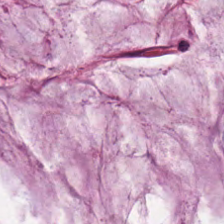224×224 pixel tile; 0.5 microns per pixel; H&E-stained tissue section. Predominant tissue = extracellular mucin.
